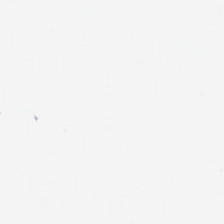H&E-stained tissue section — {"content": "background"}
